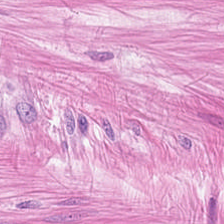Brightfield; H&E; FFPE.
Tissue type = smooth-muscle tissue.
